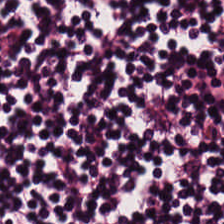Stain: H&E.
Preparation: FFPE tissue section.
Tissue class: lymphoid infiltrate.
